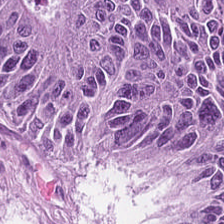Hematoxylin and eosin; 224×224 pixel tile; FFPE tissue section — This patch shows malignant epithelium.
